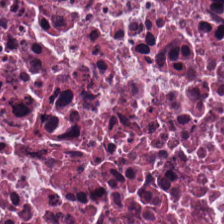Hematoxylin and eosin. Q: What tissue is shown?
A: The field shows debris.
